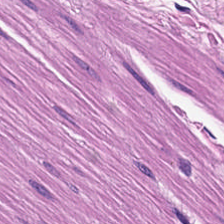Brightfield · hematoxylin and eosin · FFPE tissue section. Histology — muscularis.
